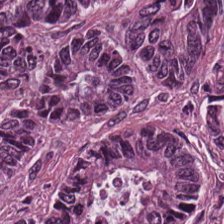224×224 px tile. WSI patch. H&E stain — Predominantly malignant epithelium.
